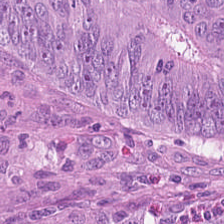H&E — This field is tumor epithelium.
